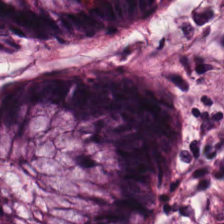H&E-stained tissue section showing benign colonic mucosa.
